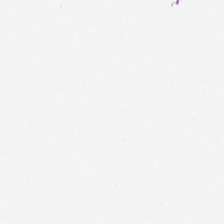Stain: hematoxylin and eosin.
Preparation: FFPE tissue section.
Tile size: 224×224 px patch.
Field content: background.
